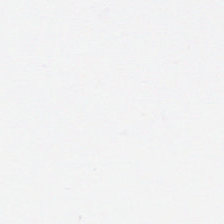Formalin-fixed paraffin-embedded section. H&E — Classification — empty background.
